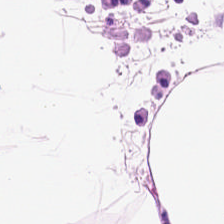Hematoxylin-and-eosin section: adipose tissue.
